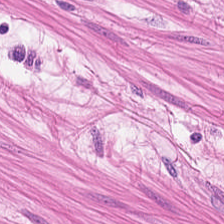Stain: hematoxylin-and-eosin stained section.
Predominant tissue: smooth muscle.
